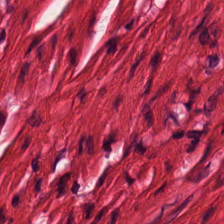Stain: H&E-stained tissue section.
Tile size: 224×224 pixel tile.
Tissue class: smooth-muscle tissue.
